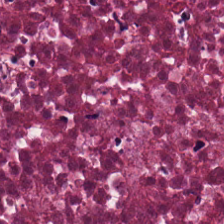H&E-stained section; the field shows cellular debris.
